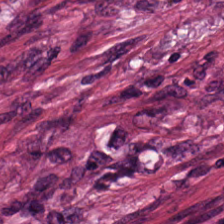224×224 px tile · FFPE tissue section · H&E. Classification = tumor-associated stroma.
